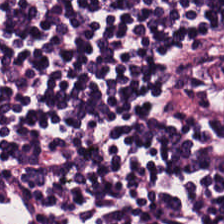H&E stain; formalin-fixed paraffin-embedded section; brightfield. {"tissue_type": "lymphocyte aggregate"}
